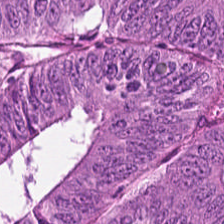This field is tumor epithelium.
